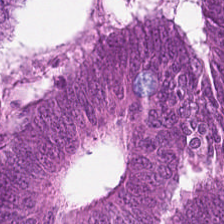FFPE · hematoxylin and eosin.
The predominant tissue is malignant epithelium.
